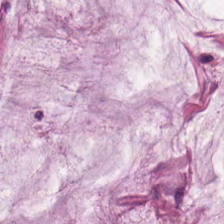Stain: H&E-stained tissue section.
Tissue type: extracellular mucin.
